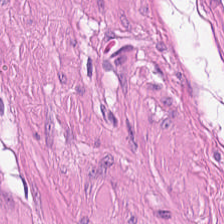Tissue: smooth muscle.
